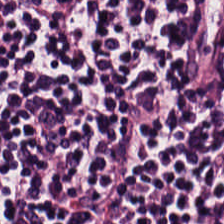224×224 px tile; H&E-stained tissue section — Impression — lymphoid infiltrate.
